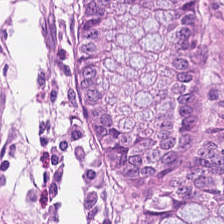FFPE tissue section · hematoxylin-and-eosin stained section.
This field is non-neoplastic colon mucosa.
